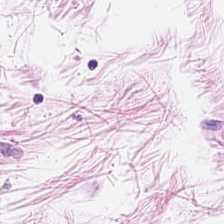Tissue type = adipocytes.
